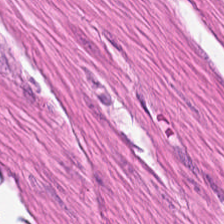Stain: H&E-stained tissue section.
Predominant tissue: smooth-muscle tissue.
